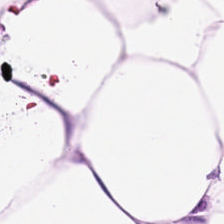Brightfield; hematoxylin and eosin — Showing fat tissue.
